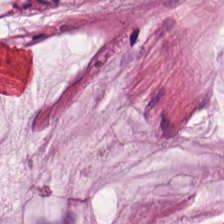0.5 µm/px · hematoxylin and eosin.
This patch shows extracellular mucin.
